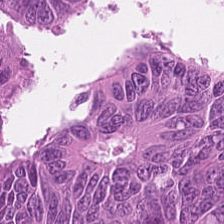H&E-stained tissue section — Showing colorectal adenocarcinoma.
